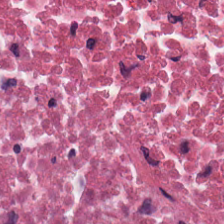H&E-stained tissue section. This field is debris.
